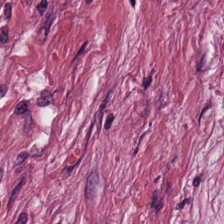H&E stain — Q: What does this patch show?
A: It is tumor-associated stroma.
